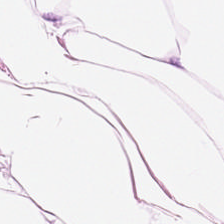H&E-stained section; the field shows adipose.
